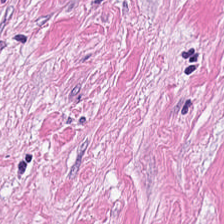20× equivalent magnification. H&E stain. 224×224 pixel tile. Histology → tumor-associated stroma.
